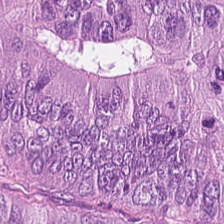Tissue type = colorectal adenocarcinoma.
